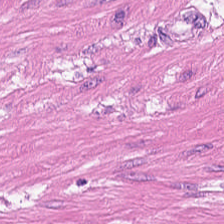Classification = smooth-muscle tissue.
